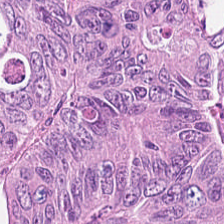H&E · 224×224 px tile.
This patch shows colorectal adenocarcinoma epithelium.
